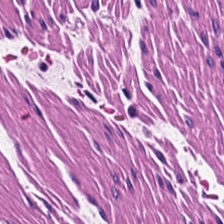Tissue — smooth-muscle tissue.
